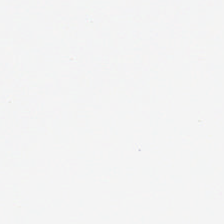Finding → no tissue.
